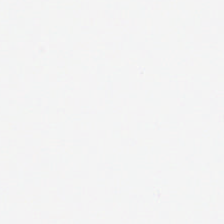H&E-stained tissue section — Q: Classify this patch.
A: It is no tissue.
